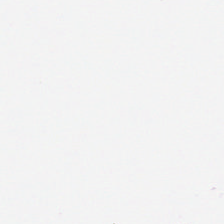Background (no tissue).
